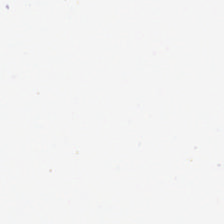Q: What is shown here?
A: It is background (no tissue).
